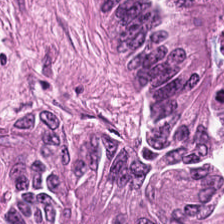224×224 pixel tile · hematoxylin-and-eosin stained section.
Tissue type = tumor epithelium.
